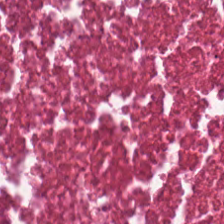Tissue class: debris.
